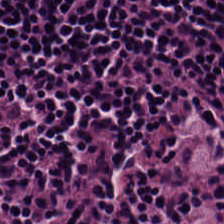H&E stain.
Q: Identify the tissue.
A: Lymphoid infiltrate.
